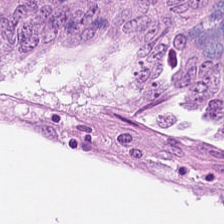Stain: hematoxylin-and-eosin stained section.
Tile size: 224×224 px tile.
Predominant tissue: malignant epithelium.
